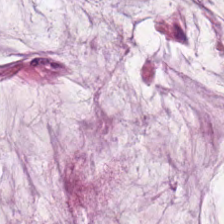Hematoxylin and eosin. 224×224 px tile. Extracellular mucin.
